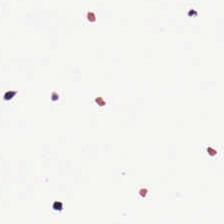Hematoxylin-and-eosin stained section. Field content = background (no tissue).
